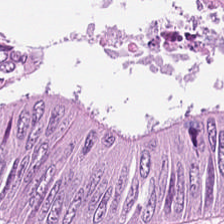Tissue class = adenocarcinoma.
